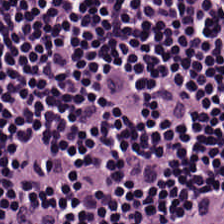The predominant tissue is lymphocytic infiltrate.
